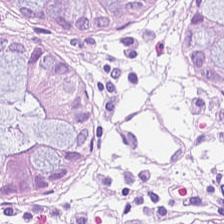Hematoxylin and eosin · formalin-fixed paraffin-embedded section. Predominantly non-neoplastic colon mucosa.
